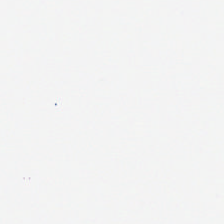H&E-stained tissue section — The content is no tissue.
